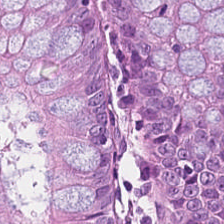This patch shows non-neoplastic colon mucosa.
